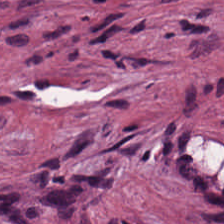H&E-stained tissue section — Classification — tumor-associated stroma.
